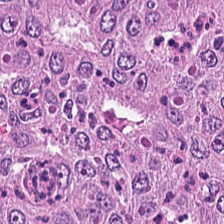0.5 µm/px; hematoxylin and eosin. Finding — adenocarcinoma.
